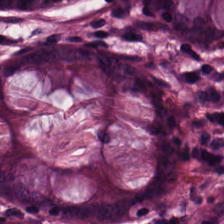Tissue — normal colonic mucosa.
